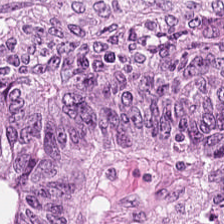H&E-stained tissue section — Tissue class = adenocarcinoma.
